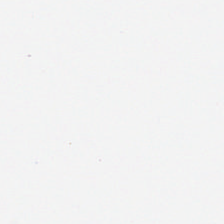H&E-stained tissue section. 224×224 px patch — Background — no tissue in this field.
